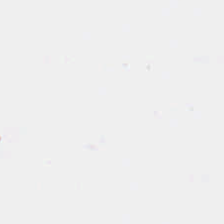Stain: H&E.
Field content: empty background.
